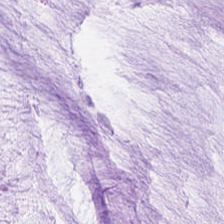H&E stain · FFPE. The tissue class is extracellular mucin.
